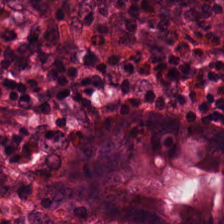H&E-stained tissue section. Formalin-fixed paraffin-embedded section. 224×224 pixel tile — Predominant tissue = benign colonic mucosa.
